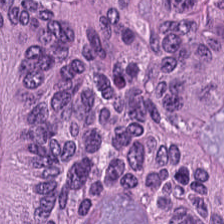Hematoxylin and eosin. This field is colorectal adenocarcinoma.
